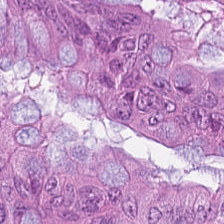H&E-stained tissue section — Showing malignant epithelium.
